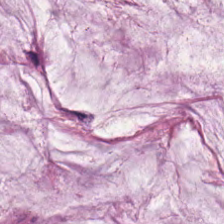Whole-slide-image patch · H&E — The classification is mucin.
